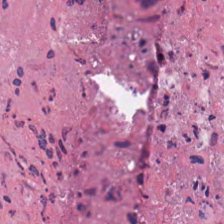H&E; 224×224 pixel tile. This field is debris.
